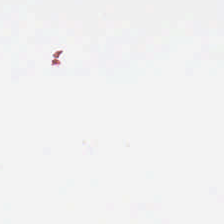H&E stain. {"content": "empty background"}
